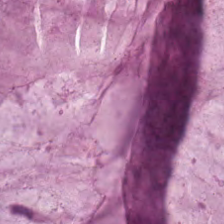Stain: hematoxylin and eosin.
Classification: mucus.
